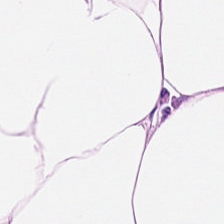0.5 microns per pixel; hematoxylin and eosin; WSI patch.
Showing fat tissue.
